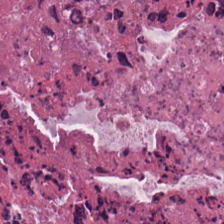224×224 px tile · H&E-stained tissue section · FFPE. Debris.
